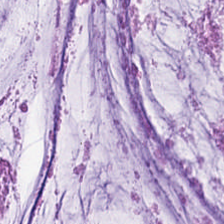224×224 px patch. H&E-stained tissue section. Predominantly extracellular mucin.
